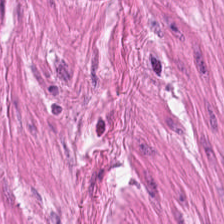H&E stain. Q: What tissue type is shown here?
A: The field shows smooth-muscle tissue.
